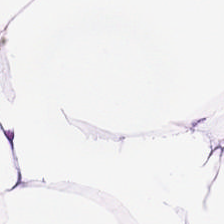H&E — This field is adipose tissue.
